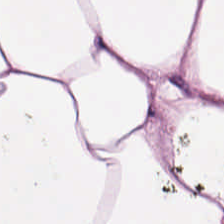224×224 px patch · H&E-stained tissue section.
Predominantly fat tissue.
